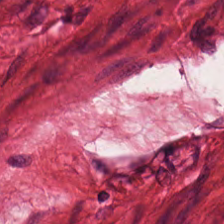H&E · WSI patch · 224×224 px tile. This field is muscularis.
